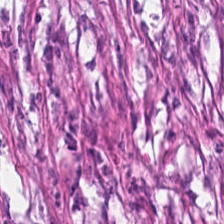Hematoxylin and eosin. Q: What type of tissue is this?
A: This is tumor stroma.
